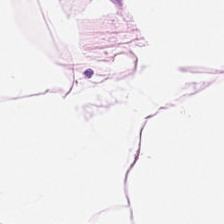20× equivalent magnification. H&E stain. 224×224 pixel tile.
Predominant tissue: adipose tissue.
